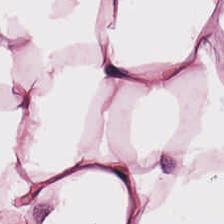Stain: hematoxylin and eosin.
Tile size: 224×224 pixel tile.
Tissue type: adipose.
